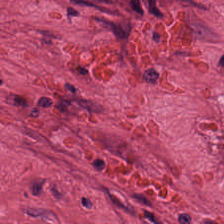Predominant tissue — tumor-associated stroma.
